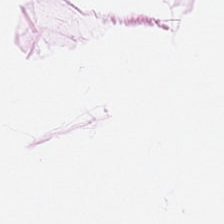Hematoxylin-and-eosin stained section · formalin-fixed paraffin-embedded section. Adipose.
